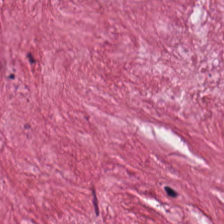Predominant tissue: cancer-associated stroma.
